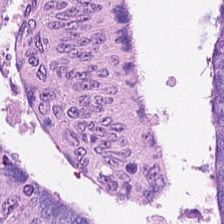Hematoxylin-and-eosin stained section.
The predominant tissue is tumor epithelium.
